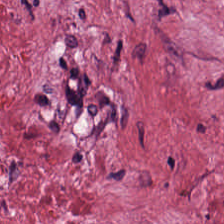H&E. 224×224 pixel tile. 0.5 microns per pixel. Impression — cancer-associated stroma.
